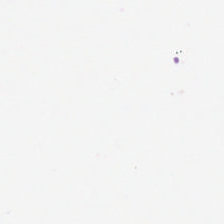H&E-stained tissue section · formalin-fixed paraffin-embedded section · 0.5 µm/px — Classification = background (no tissue).
